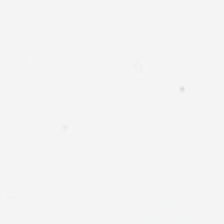Stain: H&E stain.
Field content: background.
